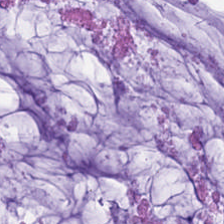Hematoxylin and eosin — Predominantly extracellular mucin.
